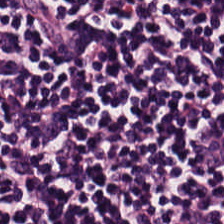0.5 microns per pixel; H&E.
Q: What is shown here?
A: This is lymphocytes.
